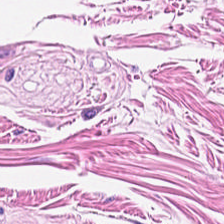Predominantly smooth muscle.
